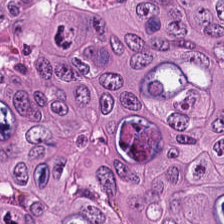FFPE tissue section. H&E-stained tissue section.
Finding → malignant epithelium.
